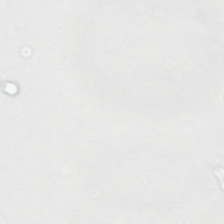Empty field — background (no tissue).
